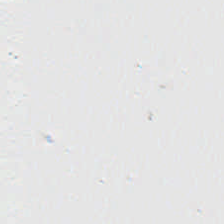H&E · 224×224 pixel tile.
Field content = background (no tissue).
